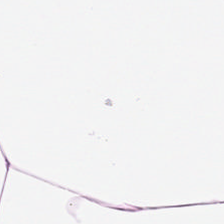Hematoxylin-and-eosin stained section. {"tissue_type": "fat tissue"}
